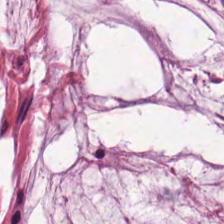Hematoxylin-and-eosin stained section.
This field is mucin.
